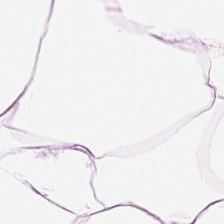Hematoxylin-and-eosin stained section.
Showing adipose.
